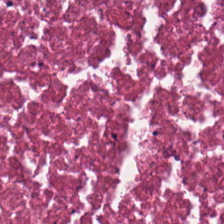Debris.
